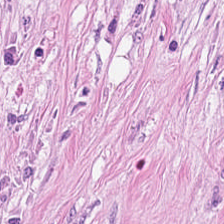H&E.
Showing tumor-associated stroma.
